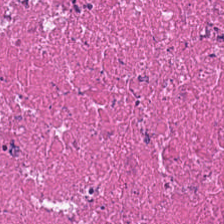H&E-stained section; the field shows cellular debris.
